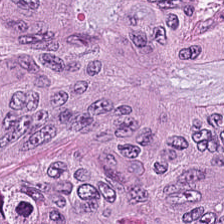0.5 µm per pixel; H&E stain; 224×224 px tile.
The predominant tissue is tumor epithelium.
